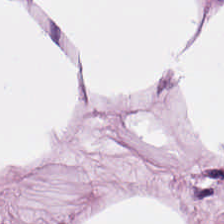H&E stain. 0.5 µm/px.
Q: What tissue type is shown here?
A: This is adipose.
